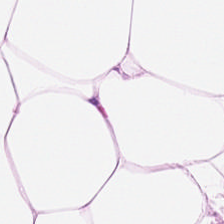Hematoxylin and eosin. Tissue type: fat tissue.
